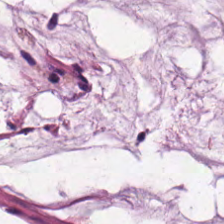Hematoxylin and eosin. The predominant tissue is extracellular mucin.
